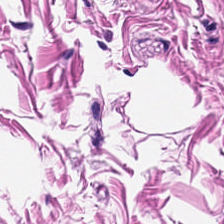H&E. This patch shows smooth muscle.
